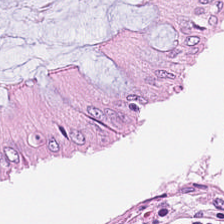Stain: H&E.
Tile size: 224×224 px tile.
Preparation: FFPE tissue section.
Tissue type: normal colon mucosa.
